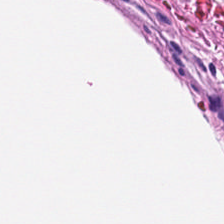Tissue class: smooth-muscle tissue.
